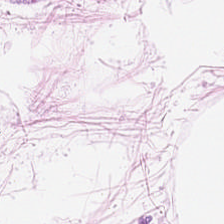H&E stain.
Predominantly adipose tissue.
